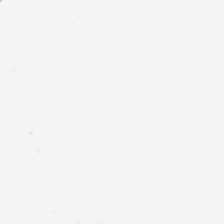{"content": "empty background"}
